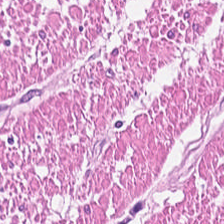The tissue is smooth muscle.
